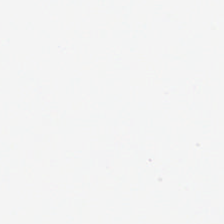H&E-stained tissue section · whole-slide-image patch.
Classification = no tissue.
